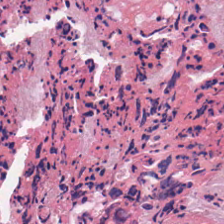{"tissue_type": "necrotic debris"}
